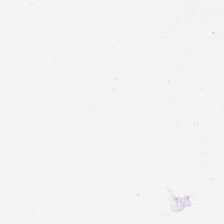0.5 µm/px; 224×224 pixel tile; hematoxylin-and-eosin stained section.
This patch shows empty background.
